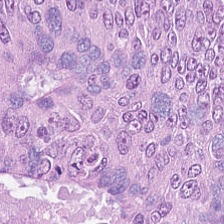H&E-stained tissue section. Tissue = adenocarcinoma.
